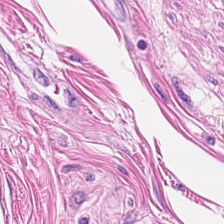H&E-stained section; the field shows smooth-muscle tissue.
